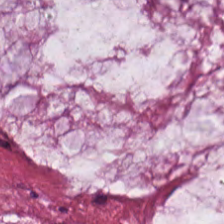H&E stain — Showing mucus.
